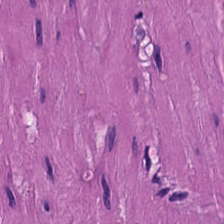This patch shows smooth-muscle tissue.
